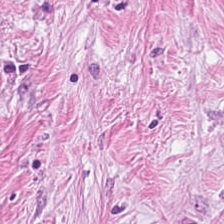224×224 px patch. Hematoxylin and eosin.
The predominant tissue is cancer-associated stroma.
